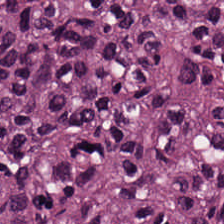Hematoxylin-and-eosin stained section. Brightfield — Tissue class: malignant epithelium.
